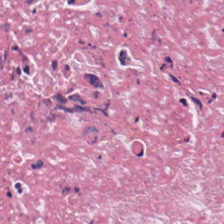224×224 pixel tile. H&E.
The predominant tissue is debris.
